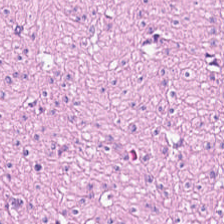The tissue here is muscularis.
